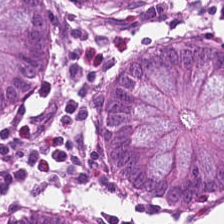Stain: H&E-stained tissue section.
Tissue class: normal colon mucosa.
